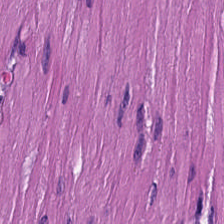H&E. 0.5 µm/px. Brightfield microscopy — Classification — smooth-muscle tissue.
